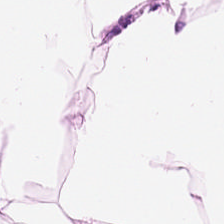Hematoxylin and eosin. {"tissue_type": "adipose tissue"}
